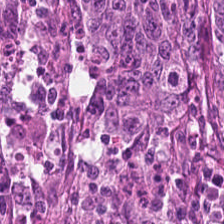Classification: colorectal adenocarcinoma.
